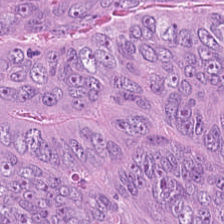224×224 px tile. H&E-stained tissue section.
Showing adenocarcinoma.
